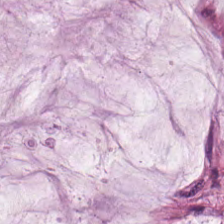WSI patch; hematoxylin and eosin; formalin-fixed paraffin-embedded section. Q: What is shown in this field?
A: Extracellular mucin.
